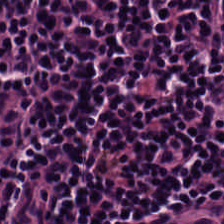H&E stain. 224×224 pixel tile. Whole-slide-image patch.
The tissue here is lymphocytic infiltrate.
